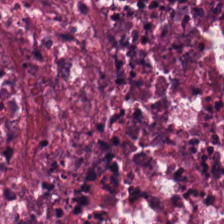The tissue is debris.
